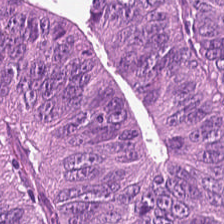Stain: H&E stain.
Preparation: FFPE tissue section.
Tissue type: colorectal adenocarcinoma.
